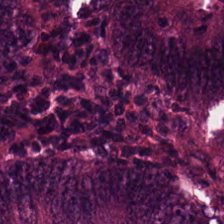Stain: hematoxylin and eosin.
Acquisition: whole-slide-image patch.
Tissue: malignant epithelium.
